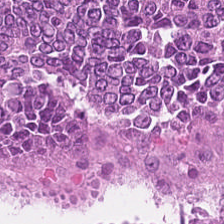Hematoxylin and eosin. 0.5 µm/px — The tissue type is malignant epithelium.
